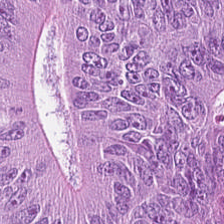Hematoxylin-and-eosin stained section — This patch shows colorectal adenocarcinoma epithelium.
